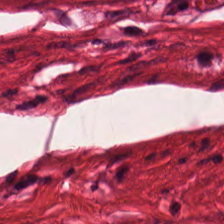224×224 pixel tile · hematoxylin and eosin.
Tissue: smooth-muscle tissue.
